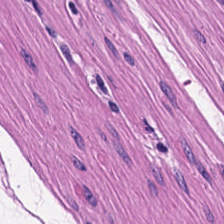Whole-slide-image patch; hematoxylin-and-eosin stained section.
Q: What is shown in this field?
A: It is smooth muscle.
